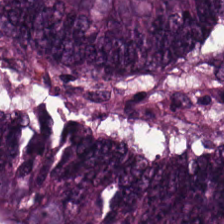Hematoxylin and eosin. Whole-slide-image patch. 224×224 pixel tile. Tumor epithelium.
